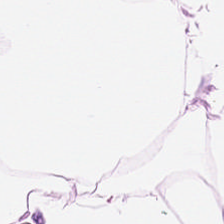Q: What tissue type is shown here?
A: It is adipocytes.
